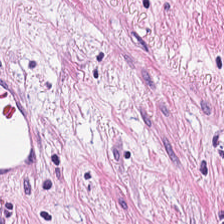Hematoxylin and eosin · 20× equivalent magnification.
Showing tumor-associated stroma.
